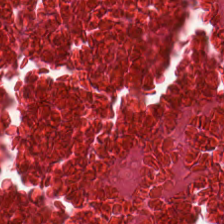H&E-stained tissue section showing cellular debris.
